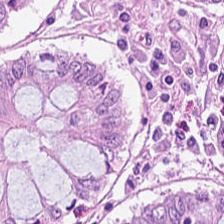Stain: H&E.
Predominant tissue: benign colonic mucosa.
